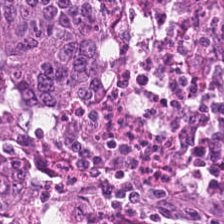Hematoxylin and eosin · 224×224 pixel tile · WSI patch.
Q: What does this patch show?
A: This is adenocarcinoma.
